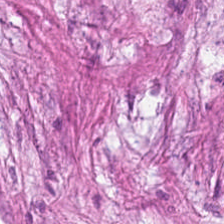Stain: hematoxylin-and-eosin stained section.
Tile size: 224×224 px patch.
Classification: cancer-associated stroma.
